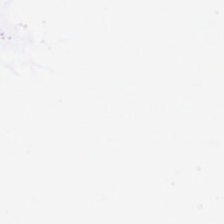H&E stain; 224×224 px patch — No tissue present; background only.
